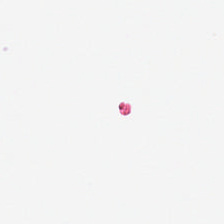H&E-stained tissue section.
Content: background.
